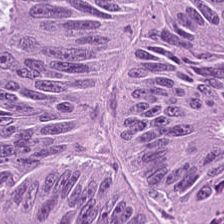FFPE · H&E stain. This field is tumor epithelium.
